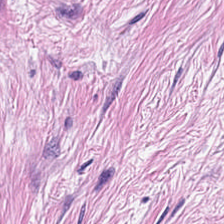FFPE tissue section; brightfield microscopy; hematoxylin-and-eosin stained section — Q: What tissue is shown?
A: It is cancer-associated stroma.
